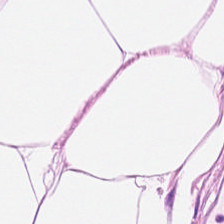Finding → fat tissue.
